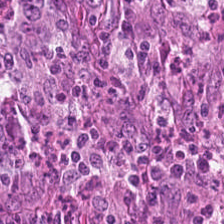H&E-stained tissue section.
Tissue type = colorectal adenocarcinoma epithelium.
